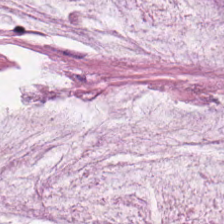Hematoxylin and eosin. Brightfield microscopy. 224×224 pixel tile — Showing mucus.
